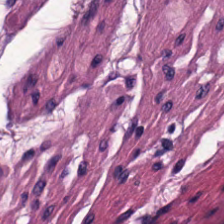H&E stain.
{"tissue_type": "muscularis"}
